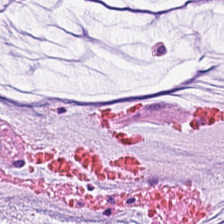Hematoxylin and eosin. 0.5 µm/px.
Finding → extracellular mucin.
